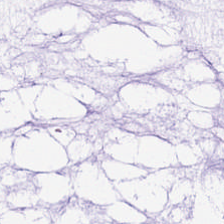H&E-stained tissue section. 0.5 µm per pixel. Q: Identify the tissue.
A: This is mucus.
